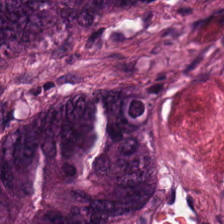Tissue type = adenocarcinoma.
